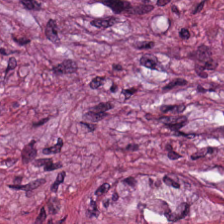Hematoxylin-and-eosin stained section — Predominant tissue: cancer-associated stroma.
